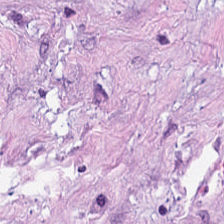H&E-stained tissue section.
The tissue here is tumor-associated stroma.
